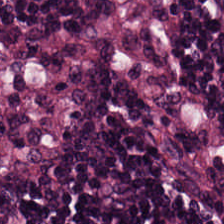H&E; 0.5 µm per pixel. The tissue here is lymphoid infiltrate.
